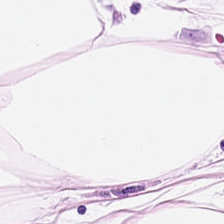H&E-stained tissue section; brightfield. {"tissue_type": "adipose tissue"}
